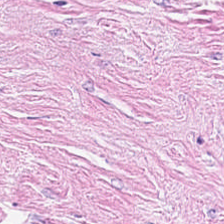H&E-stained tissue section. Impression → desmoplastic stroma.
